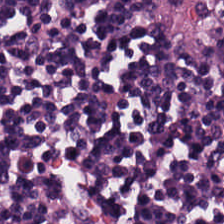H&E stain · 20× equivalent magnification.
Predominantly lymphocyte aggregate.
